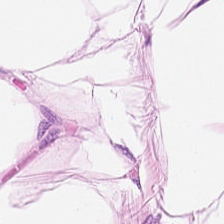Brightfield; H&E; formalin-fixed paraffin-embedded section.
Tissue class — adipose.
